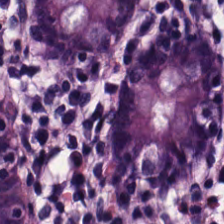Tissue class = normal colon mucosa.
